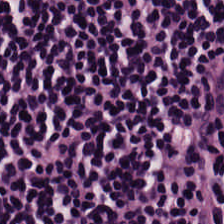H&E-stained tissue section. Tissue type: lymphocytic infiltrate.
